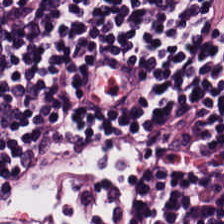{"tissue_type": "lymphocyte aggregate"}
